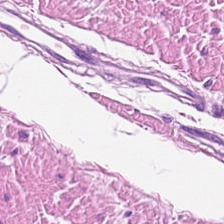H&E-stained tissue section · 0.5 µm/px.
The predominant tissue is muscularis.
